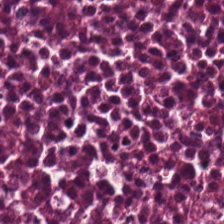Hematoxylin-and-eosin stained section. 224×224 px tile — Tissue = cellular debris.
